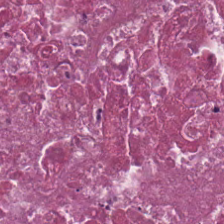H&E-stained tissue section — Q: What type of tissue is this?
A: This is cellular debris.
